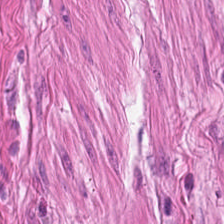Hematoxylin and eosin. FFPE.
This field is muscularis.
